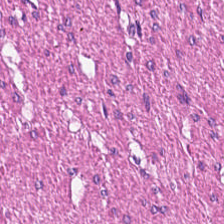Showing smooth-muscle tissue.
